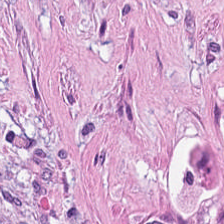The predominant tissue is desmoplastic stroma.
